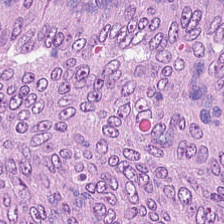Whole-slide-image patch. H&E. Predominant tissue = tumor epithelium.
